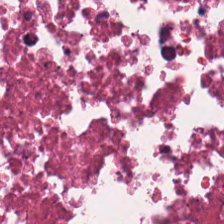Formalin-fixed paraffin-embedded section. H&E stain — Q: What tissue type is shown here?
A: This is cellular debris.
